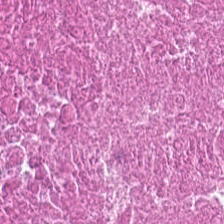Hematoxylin and eosin; 224×224 pixel tile; 0.5 µm/px — This field is cellular debris.
